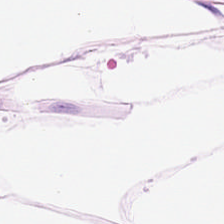Stain: H&E.
Classification: fat tissue.
